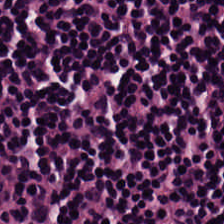FFPE tissue section · hematoxylin-and-eosin stained section · 224×224 px patch.
The tissue here is lymphocytes.
